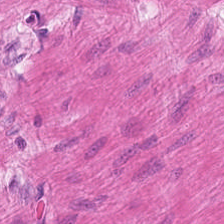Hematoxylin and eosin. This field is smooth muscle.
